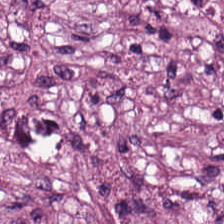The tissue here is cancer-associated stroma.
